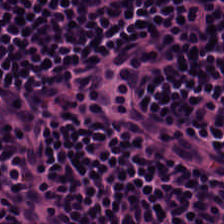Lymphoid infiltrate.
